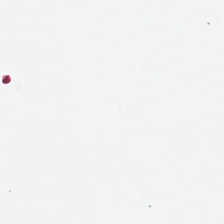20× equivalent magnification. H&E-stained tissue section — This field is background (no tissue).
